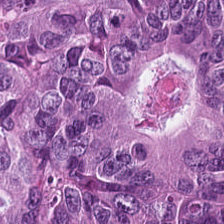H&E-stained tissue section · 0.5 microns per pixel · 224×224 px tile. The tissue here is colorectal adenocarcinoma epithelium.
